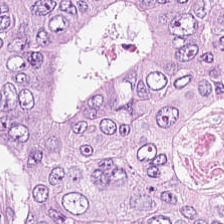0.5 µm/px. Hematoxylin-and-eosin stained section — Showing adenocarcinoma.
